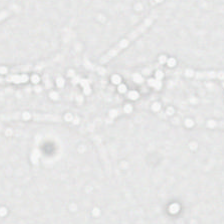Stain: hematoxylin and eosin.
Field content: no tissue.
